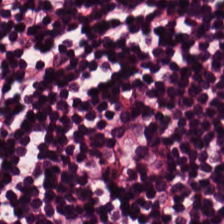H&E-stained tissue section. Q: What tissue is shown?
A: This is lymphocytic infiltrate.
